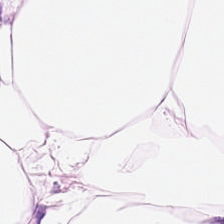Stain: H&E.
Preparation: formalin-fixed paraffin-embedded section.
Tissue class: fat tissue.
